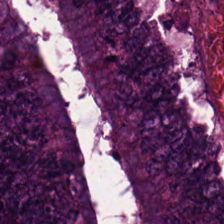Hematoxylin and eosin; 0.5 microns per pixel — Tissue = colorectal adenocarcinoma epithelium.
